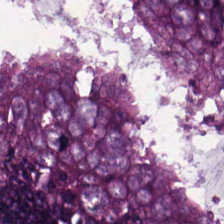H&E stain.
{"tissue_type": "colorectal adenocarcinoma"}
